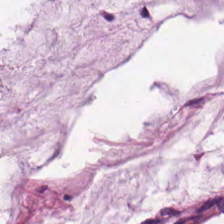H&E-stained tissue section. Brightfield. Extracellular mucin.
